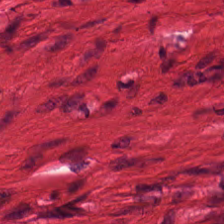Hematoxylin and eosin.
The tissue here is smooth muscle.
